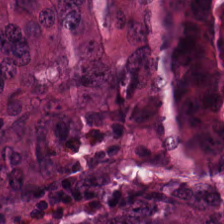Stain: H&E stain.
Tissue: malignant epithelium.
